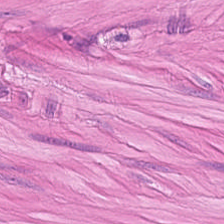Tissue type = smooth-muscle tissue.
